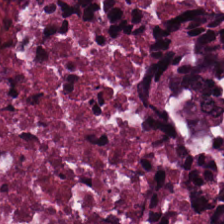Brightfield; hematoxylin-and-eosin stained section. This field is debris.
